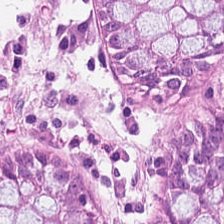Hematoxylin and eosin — Q: What does this patch show?
A: It is normal colonic mucosa.
